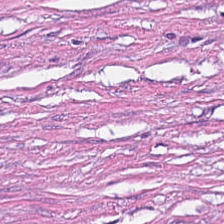Whole-slide-image patch · 224×224 pixel tile · H&E — Impression → desmoplastic stroma.
